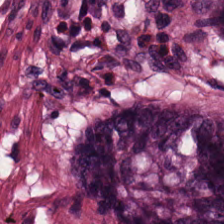224×224 pixel tile · whole-slide-image patch · hematoxylin and eosin. The predominant tissue is normal colon mucosa.
